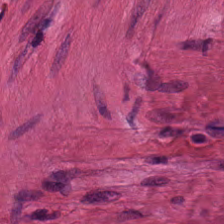Hematoxylin-and-eosin stained section.
Tissue class = smooth muscle.
